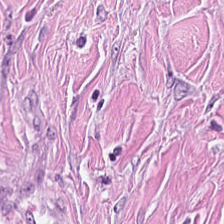H&E. The predominant tissue is tumor stroma.
